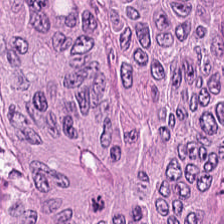Hematoxylin and eosin. This field is malignant epithelium.
